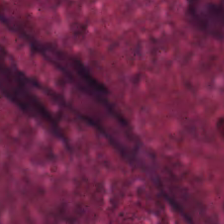Tissue type — cellular debris.
